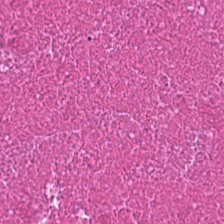H&E-stained tissue section.
Histology → necrotic debris.
